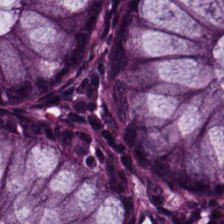FFPE; H&E stain; WSI patch. This patch shows normal colonic mucosa.
